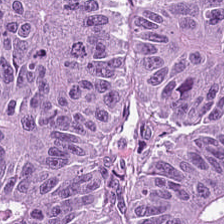H&E-stained tissue section.
Showing malignant epithelium.
